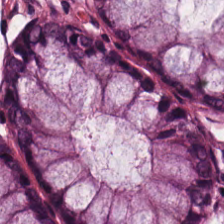0.5 µm per pixel. Hematoxylin and eosin — The tissue here is benign colonic mucosa.
